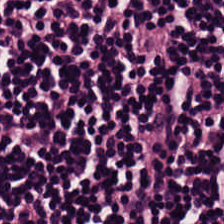Stain: H&E-stained tissue section.
Preparation: formalin-fixed paraffin-embedded section.
Tile size: 224×224 pixel tile.
Tissue class: lymphocytes.
